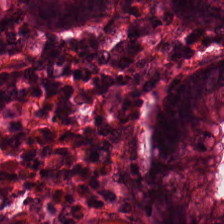Tissue class — benign colonic mucosa.
